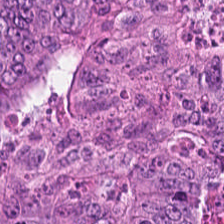H&E. Classification = colorectal adenocarcinoma.
